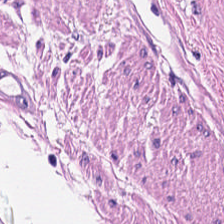The predominant tissue is smooth muscle.
